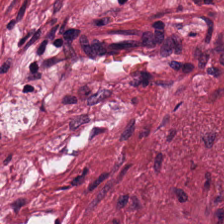H&E · 224×224 px patch — Histology — tumor stroma.
